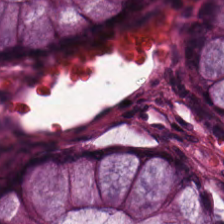H&E stain. WSI patch.
This patch shows non-neoplastic colon mucosa.
